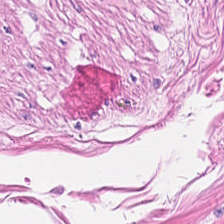Tissue = smooth-muscle tissue.
